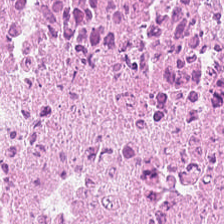Hematoxylin and eosin. 0.5 µm per pixel.
The tissue here is necrotic debris.
